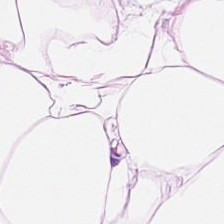H&E-stained tissue section — Predominantly adipose.
